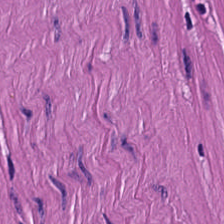H&E.
This field is muscularis.
